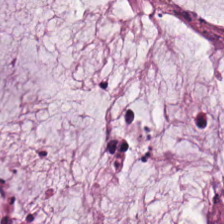Hematoxylin-and-eosin stained section. Histology → mucus.
